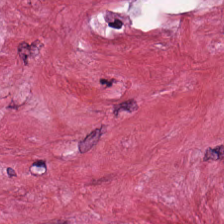H&E stain. Q: Classify this patch.
A: The field shows tumor-associated stroma.
